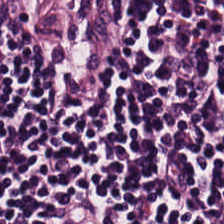H&E-stained tissue section.
Q: What does this patch show?
A: This is lymphocyte aggregate.
